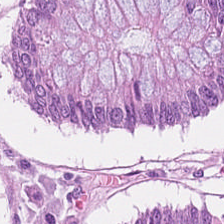H&E; 0.5 µm per pixel.
Q: What is shown in this field?
A: This is non-neoplastic colon mucosa.
